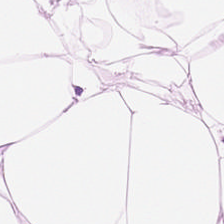H&E-stained tissue section; FFPE tissue section; brightfield. Finding → fat tissue.
